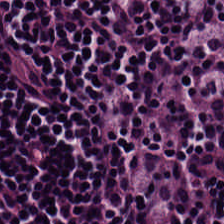Showing lymphoid infiltrate.
